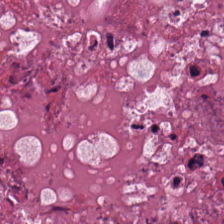Stain: H&E.
Tissue class: necrotic debris.
